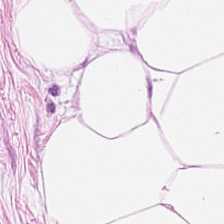224×224 pixel tile; hematoxylin and eosin — The tissue is adipose tissue.
